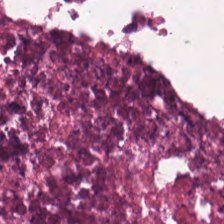224×224 pixel tile; H&E-stained tissue section. This patch shows debris.
